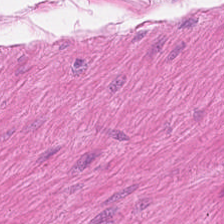H&E.
Predominant tissue = muscularis.
